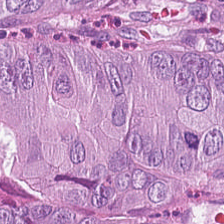The predominant tissue is malignant epithelium.
